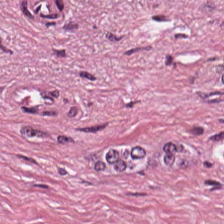Hematoxylin-and-eosin stained section; 224×224 pixel tile. The tissue type is desmoplastic stroma.
